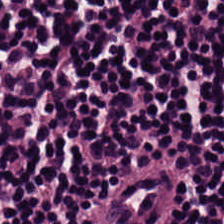224×224 pixel tile; H&E stain. Tissue class: lymphocytic infiltrate.
